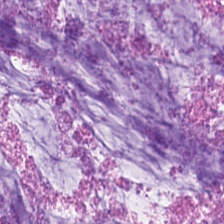Q: What tissue is shown?
A: Mucus.
